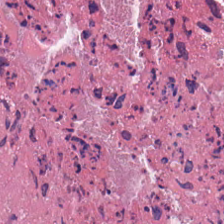Hematoxylin and eosin.
Finding → debris.
